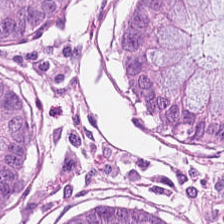Q: What type of tissue is this?
A: This is benign colonic mucosa.
